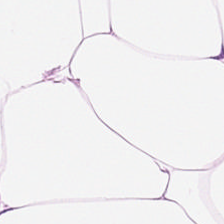FFPE. H&E stain — Tissue type — fat tissue.
